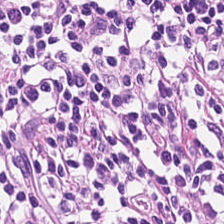H&E stain. Tissue class — lymphocytes.
